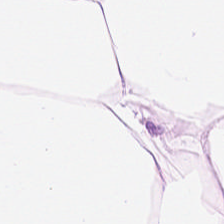Stain: hematoxylin and eosin.
Tissue type: adipose tissue.
